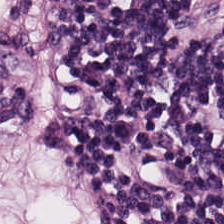Predominantly lymphoid infiltrate.
